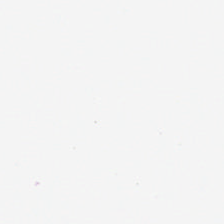Finding — empty background.
